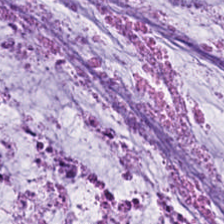Whole-slide-image patch; hematoxylin and eosin — Tissue class: mucus.
